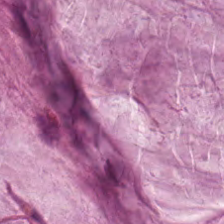Q: What is shown here?
A: Mucus.
